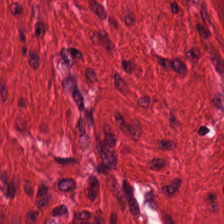Q: What tissue is shown?
A: It is muscularis.
